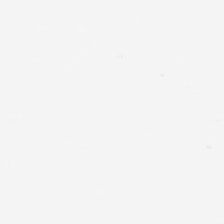H&E stain; WSI patch; 20× equivalent magnification.
Background (no tissue).
